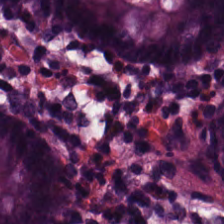Stain: H&E.
Tissue: normal colon mucosa.
